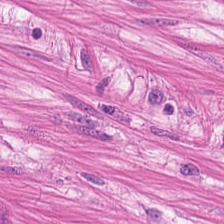FFPE; 20× equivalent magnification; H&E-stained tissue section. This patch shows smooth-muscle tissue.
